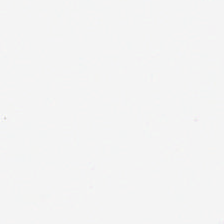WSI patch · H&E stain · 0.5 µm/px — Finding → no tissue.
